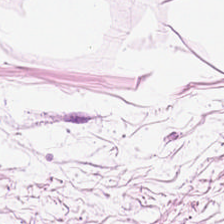H&E-stained tissue section · 0.5 µm per pixel. Q: What is shown in this field?
A: This is adipose.
